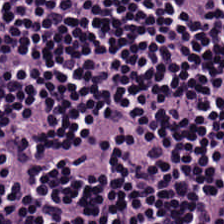Brightfield · hematoxylin-and-eosin stained section. The predominant tissue is lymphoid infiltrate.
